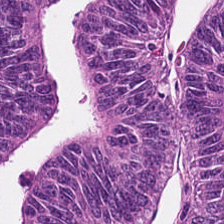The classification is colorectal adenocarcinoma epithelium.
